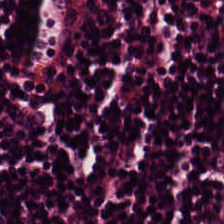H&E-stained tissue section showing lymphocyte aggregate.
